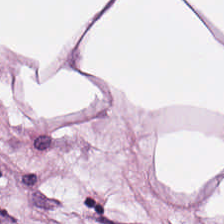0.5 µm/px; FFPE; H&E. Showing adipocytes.
